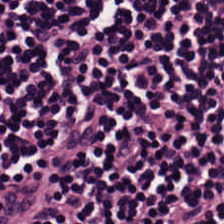Classification — lymphocytic infiltrate.
